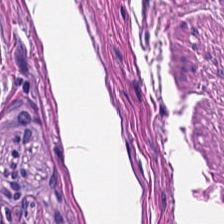Classification — muscularis.
